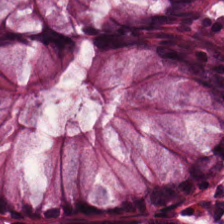224×224 px patch. H&E. 0.5 microns per pixel.
Predominantly normal colonic mucosa.
